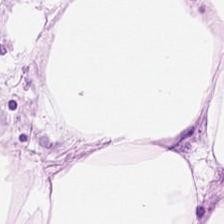Hematoxylin and eosin; 224×224 pixel tile. Finding — adipocytes.
